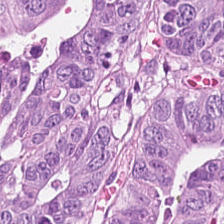H&E-stained tissue section. 0.5 µm/px.
The tissue type is malignant epithelium.
